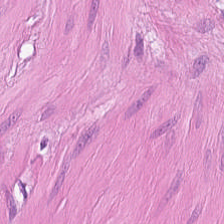224×224 pixel tile · H&E-stained tissue section · brightfield — Predominant tissue: muscularis.
